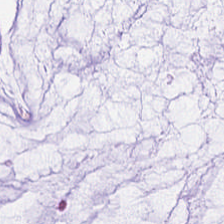Stain: H&E.
Resolution: 0.5 µm/px.
Predominant tissue: mucin.
